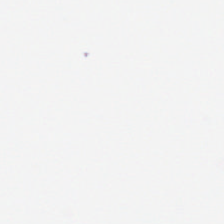H&E. Empty field — no tissue.
